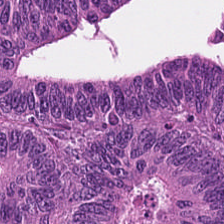Hematoxylin-and-eosin stained section. Q: What tissue is shown?
A: It is colorectal adenocarcinoma.
